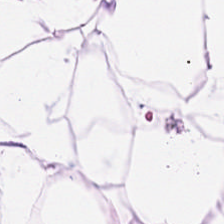FFPE; H&E stain; 20× equivalent magnification.
Q: Classify this patch.
A: Adipocytes.
